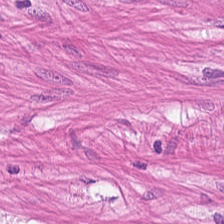Q: What tissue is shown?
A: Muscularis.
